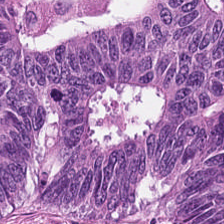Stain: hematoxylin and eosin.
Tissue type: malignant epithelium.
